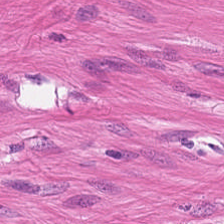Hematoxylin-and-eosin stained section — Showing smooth-muscle tissue.
